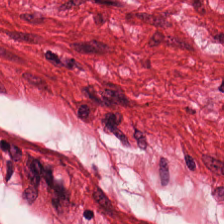H&E stain. Finding → smooth muscle.
